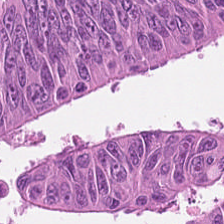Hematoxylin-and-eosin stained section · FFPE. Q: Identify the tissue.
A: The field shows colorectal adenocarcinoma.
